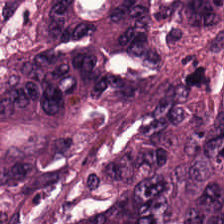WSI patch · H&E · 224×224 px tile — The predominant tissue is tumor epithelium.
